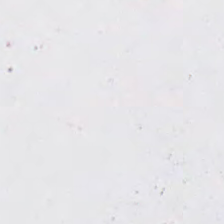This field is background (no tissue).
